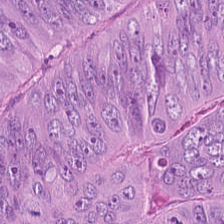Stain: hematoxylin-and-eosin stained section.
Preparation: FFPE.
Predominant tissue: tumor epithelium.
